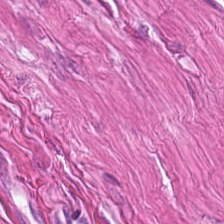Showing muscularis.
